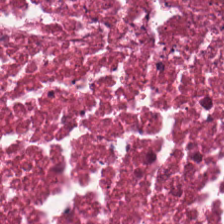20× equivalent magnification; hematoxylin and eosin.
{"tissue_type": "cellular debris"}
